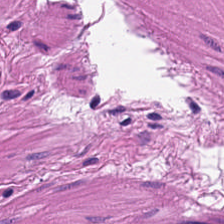Impression → smooth muscle.
